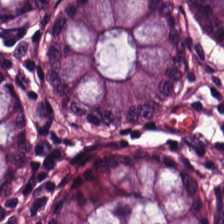0.5 µm/px; H&E stain; brightfield.
Q: What type of tissue is this?
A: The field shows benign colonic mucosa.
